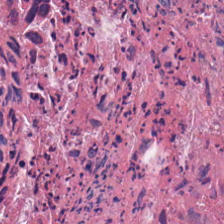Stain: H&E stain.
Classification: necrotic debris.
